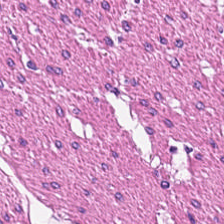H&E-stained tissue section — Predominantly muscularis.
